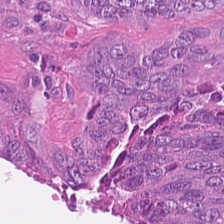H&E-stained tissue section — Finding → malignant epithelium.
